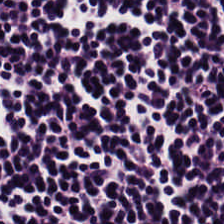Stain: hematoxylin-and-eosin stained section.
Preparation: FFPE tissue section.
Predominant tissue: lymphocytic infiltrate.
